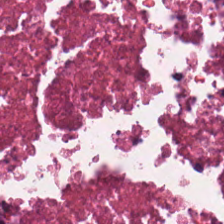{"tissue_type": "cellular debris"}
